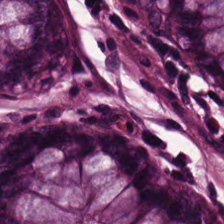Q: What tissue type is shown here?
A: It is normal colonic mucosa.
